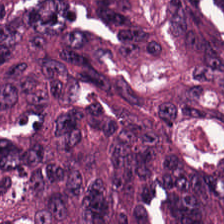Stain: hematoxylin and eosin.
Acquisition: brightfield microscopy.
Tissue: adenocarcinoma.
